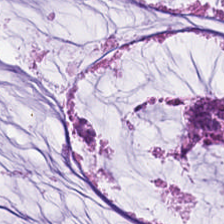Stain: H&E.
Classification: mucus.
